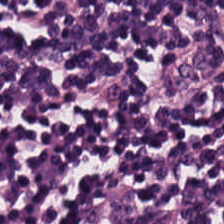Impression — lymphocytes.
